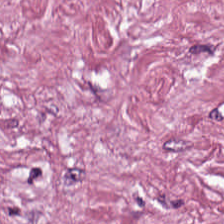Formalin-fixed paraffin-embedded section; WSI patch; H&E-stained tissue section.
{"tissue_type": "tumor stroma"}
